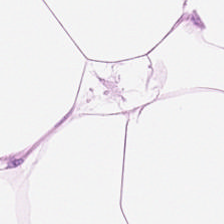H&E stain. Tissue = adipose tissue.
